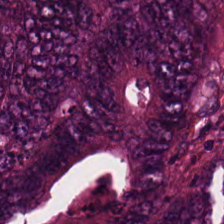Hematoxylin-and-eosin stained section — Tissue type = tumor epithelium.
